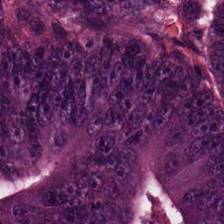0.5 µm per pixel; hematoxylin-and-eosin stained section; formalin-fixed paraffin-embedded section.
The tissue class is malignant epithelium.
